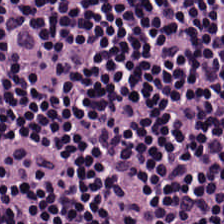Hematoxylin and eosin — Q: Identify the tissue.
A: It is lymphocyte aggregate.
